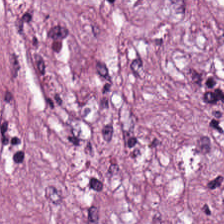Stain: H&E.
Acquisition: brightfield microscopy.
Predominant tissue: tumor stroma.
